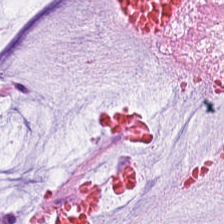Hematoxylin and eosin.
{"tissue_type": "mucin"}
